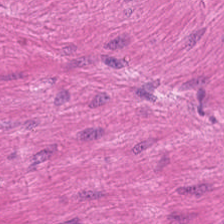H&E patch showing muscularis.
